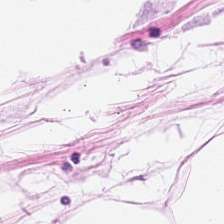Hematoxylin and eosin.
This field is adipocytes.
